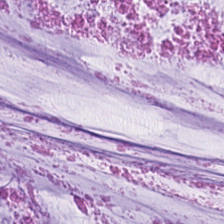Stain: hematoxylin and eosin.
Tissue: mucus.
